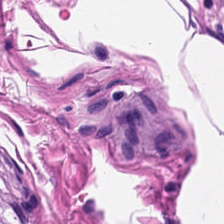Hematoxylin-and-eosin stained section · 0.5 microns per pixel · FFPE — Smooth muscle.
